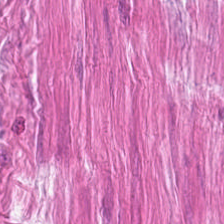Histology → muscularis.
